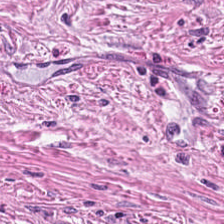FFPE. 224×224 pixel tile. H&E stain — {"tissue_type": "tumor-associated stroma"}
